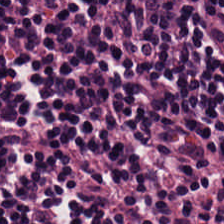H&E. {"tissue_type": "lymphocytes"}
